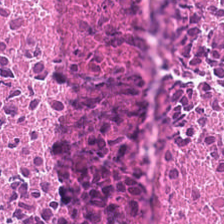H&E stain. Brightfield microscopy. Q: What type of tissue is this?
A: The field shows cellular debris.
